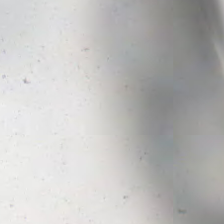Stain: hematoxylin and eosin.
Resolution: 20× equivalent magnification.
Tile size: 224×224 px patch.
Field content: empty background.
